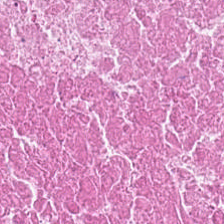Whole-slide-image patch. Formalin-fixed paraffin-embedded section. H&E.
This patch shows necrotic debris.
